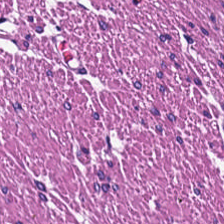Stain: hematoxylin and eosin.
Tissue class: smooth-muscle tissue.
